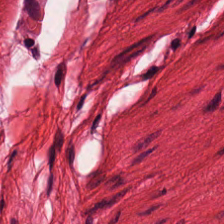H&E-stained tissue section — This patch shows smooth muscle.
